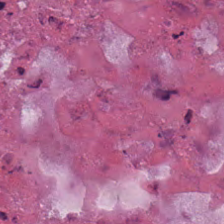Hematoxylin-and-eosin stained section · 20× equivalent magnification. Histology → cellular debris.
